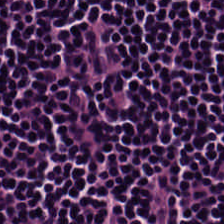224×224 px tile. Hematoxylin and eosin — Q: What tissue is shown?
A: The field shows lymphocyte aggregate.
